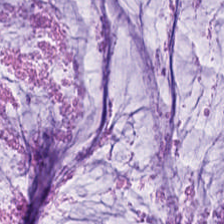Hematoxylin-and-eosin section: extracellular mucin.
